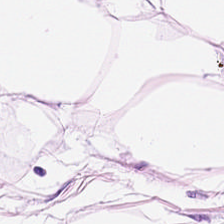0.5 µm/px · H&E stain · FFPE tissue section.
This field is fat tissue.
